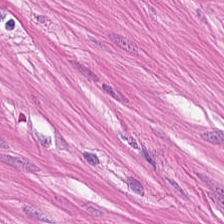This patch shows muscularis.
